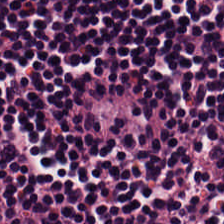0.5 microns per pixel; brightfield microscopy; H&E stain.
Q: Classify this patch.
A: The field shows lymphocyte aggregate.
